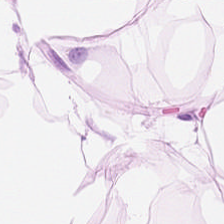Stain: H&E.
Tissue: adipose.
